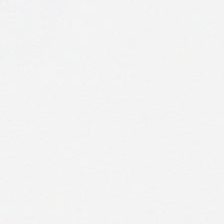224×224 px tile. Hematoxylin and eosin — This patch shows background (no tissue).
